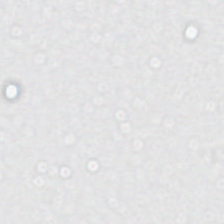H&E.
Empty field — background.
